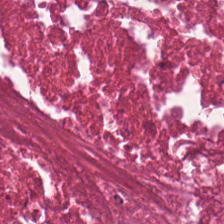H&E. Impression — necrotic debris.
